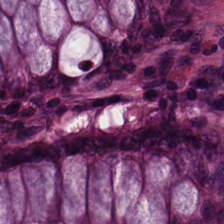FFPE; 224×224 pixel tile; H&E-stained tissue section. Tissue = benign colonic mucosa.
